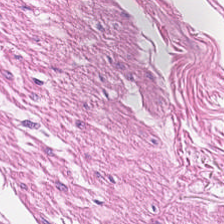0.5 µm per pixel; H&E stain; 224×224 px tile. Showing muscularis.
